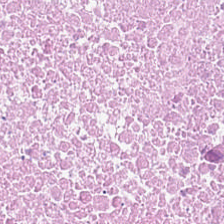Stain: H&E-stained tissue section.
Resolution: 0.5 microns per pixel.
Tissue: debris.
